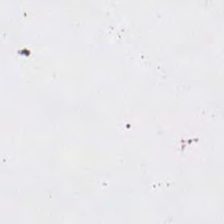Stain: H&E-stained tissue section.
Classification: no tissue.
